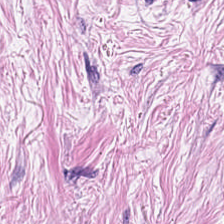0.5 µm per pixel · hematoxylin-and-eosin stained section.
Tumor stroma.
